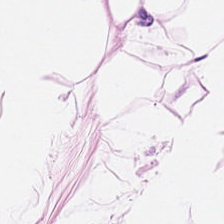FFPE tissue section. Hematoxylin and eosin — Predominant tissue: fat tissue.
